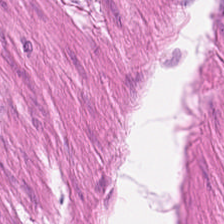Hematoxylin-and-eosin stained section — Q: What is the predominant tissue type?
A: Muscularis.
